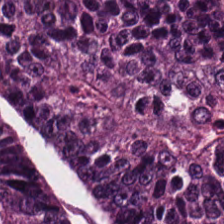This patch shows adenocarcinoma.
